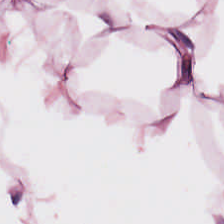Hematoxylin and eosin · 0.5 microns per pixel — Impression — adipocytes.
